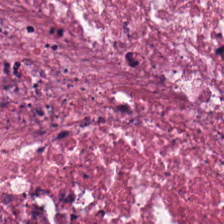Predominantly cellular debris.
